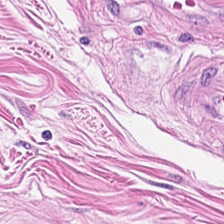Hematoxylin-and-eosin stained section; 224×224 pixel tile — The predominant tissue is smooth muscle.
